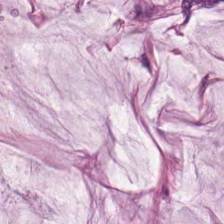20× equivalent magnification · H&E-stained tissue section — Classification — mucin.
